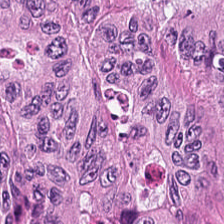H&E patch showing tumor epithelium.
